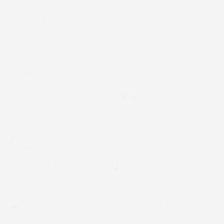FFPE · 224×224 pixel tile · hematoxylin and eosin.
Q: What is shown here?
A: It is background (no tissue).
